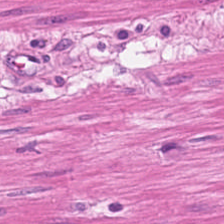FFPE. H&E-stained tissue section. This field is muscularis.
